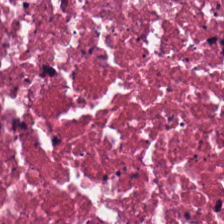Stain: hematoxylin and eosin.
Tissue class: debris.
